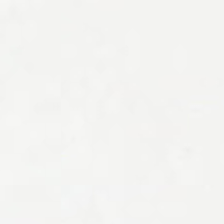Stain: hematoxylin-and-eosin stained section.
Content: empty background.
